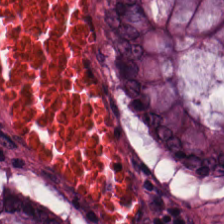Predominant tissue: non-neoplastic colon mucosa.
